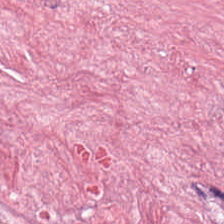Stain: hematoxylin and eosin.
Preparation: formalin-fixed paraffin-embedded section.
Tissue class: tumor stroma.
